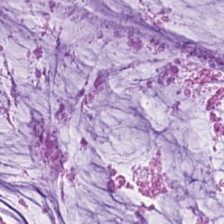Brightfield microscopy. Hematoxylin-and-eosin stained section. Formalin-fixed paraffin-embedded section. Q: What is shown in this field?
A: Mucin.
